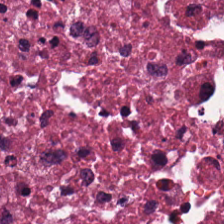H&E stain.
{"tissue_type": "debris"}
